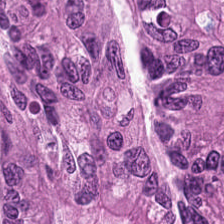WSI patch · hematoxylin and eosin — Q: Classify this patch.
A: Colorectal adenocarcinoma.
